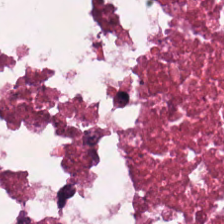20× equivalent magnification · H&E stain. Tissue type — cellular debris.
